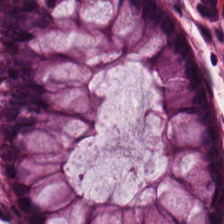Stain: H&E-stained tissue section.
Preparation: FFPE.
Tissue type: non-neoplastic colon mucosa.
